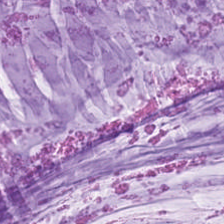Brightfield; hematoxylin-and-eosin stained section; 20× equivalent magnification.
Tissue — mucus.
